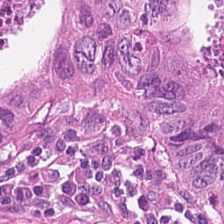H&E stain. 0.5 µm per pixel. FFPE. Predominantly tumor epithelium.
